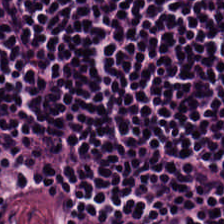Formalin-fixed paraffin-embedded section. Whole-slide-image patch. H&E-stained tissue section. The predominant tissue is lymphocyte aggregate.
